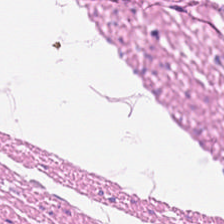H&E stain · FFPE. Showing muscularis.
